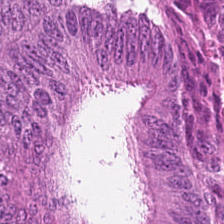H&E-stained tissue section.
Q: What is shown here?
A: The field shows colorectal adenocarcinoma epithelium.
